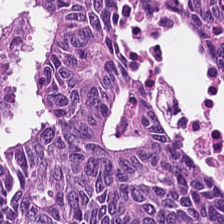Malignant epithelium.
